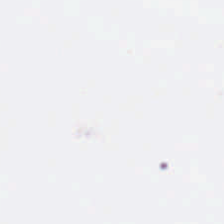Brightfield · H&E-stained tissue section.
Field content: no tissue.
